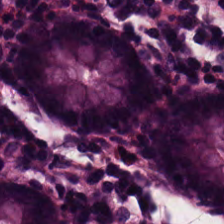H&E-stained tissue section.
Classification = non-neoplastic colon mucosa.
